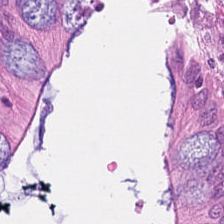Stain: hematoxylin and eosin.
Tissue: non-neoplastic colon mucosa.
